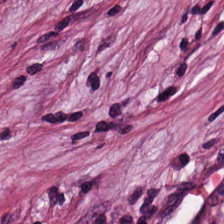Hematoxylin-and-eosin stained section. Predominantly desmoplastic stroma.
